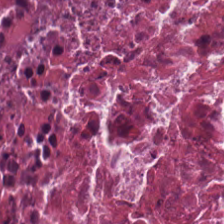Hematoxylin-and-eosin stained section.
Showing necrotic debris.
